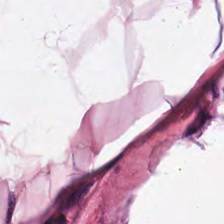224×224 pixel tile; H&E-stained tissue section — The predominant tissue is adipose.
